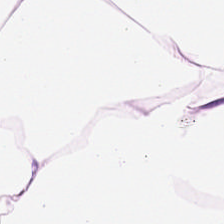Tissue class: fat tissue.
